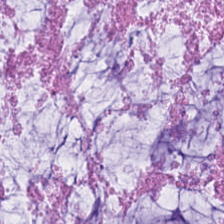Hematoxylin and eosin.
Mucus.
